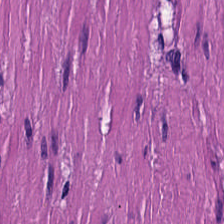H&E stain. Predominantly smooth muscle.
